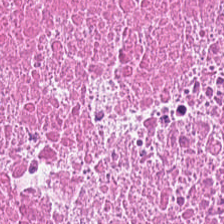Stain: hematoxylin and eosin.
Predominant tissue: debris.
